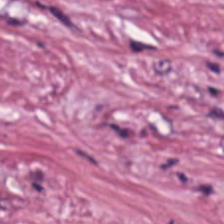Whole-slide-image patch. H&E. This field is desmoplastic stroma.
